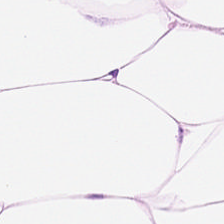H&E-stained tissue section. Q: What is the predominant tissue type?
A: Adipose.
